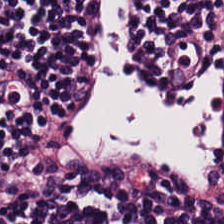Stain: hematoxylin-and-eosin stained section.
Acquisition: WSI patch.
Tile size: 224×224 px patch.
Classification: lymphocytic infiltrate.
